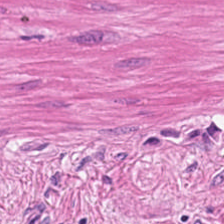H&E-stained tissue section.
The tissue here is muscularis.
